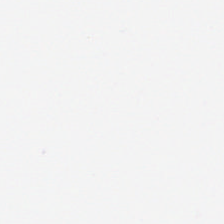Q: Classify this patch.
A: Background.
